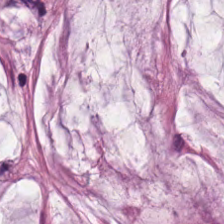Brightfield microscopy. H&E stain. The tissue type is extracellular mucin.
